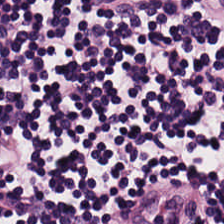Hematoxylin-and-eosin stained section — This patch shows lymphocytes.
